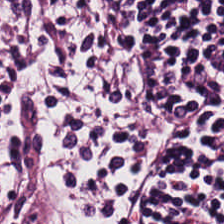0.5 microns per pixel. Hematoxylin-and-eosin stained section.
The tissue class is lymphocyte aggregate.
